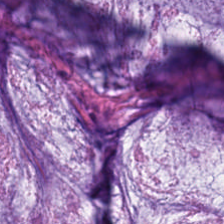Hematoxylin-and-eosin stained section.
Finding → mucin.
